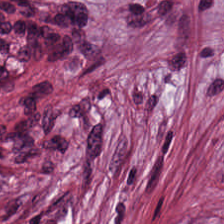20× equivalent magnification · H&E · FFPE tissue section — Histology — tumor stroma.
